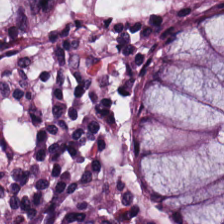Tissue: non-neoplastic colon mucosa.
